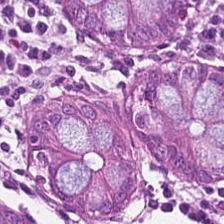H&E-stained tissue section.
Predominantly normal colonic mucosa.
